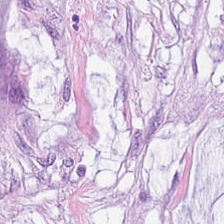H&E stain · 224×224 px tile. Q: Classify this patch.
A: Extracellular mucin.
